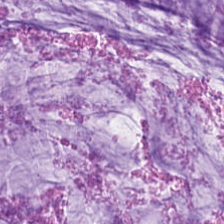FFPE tissue section. H&E — Q: What is shown here?
A: Extracellular mucin.
